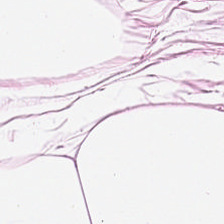H&E stain; formalin-fixed paraffin-embedded section; 0.5 microns per pixel. The tissue here is adipocytes.
